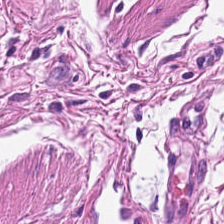20× equivalent magnification; formalin-fixed paraffin-embedded section; hematoxylin-and-eosin stained section — {"tissue_type": "smooth-muscle tissue"}
